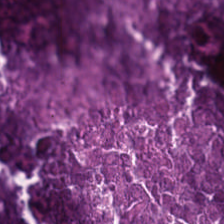H&E stain.
The tissue class is cellular debris.
